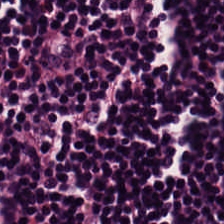Whole-slide-image patch; formalin-fixed paraffin-embedded section; hematoxylin-and-eosin stained section.
Showing lymphocyte aggregate.
